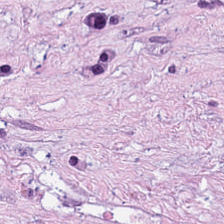H&E stain — Tissue class: tumor stroma.
